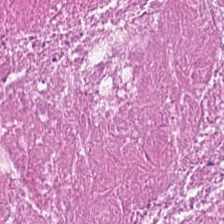Q: What type of tissue is this?
A: This is debris.
